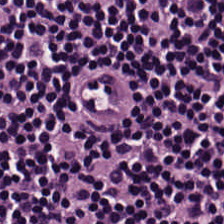Hematoxylin and eosin.
Impression → lymphocytic infiltrate.
